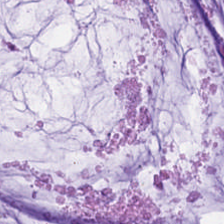Hematoxylin-and-eosin stained section.
Showing mucin.
